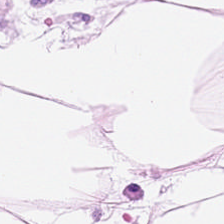Stain: H&E.
Resolution: 0.5 microns per pixel.
Classification: adipose tissue.
